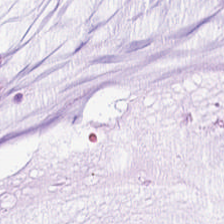Hematoxylin and eosin; formalin-fixed paraffin-embedded section. This field is extracellular mucin.
